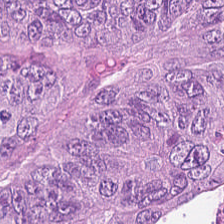0.5 microns per pixel; hematoxylin-and-eosin stained section. The tissue here is tumor epithelium.
